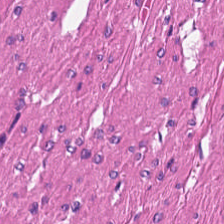Hematoxylin-and-eosin stained section. Showing smooth muscle.
